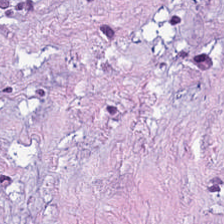H&E. Q: What tissue is shown?
A: This is cancer-associated stroma.
